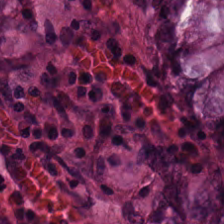Tissue — normal colonic mucosa.
